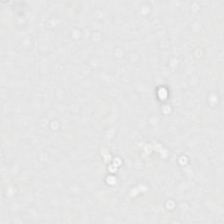Hematoxylin-and-eosin stained section; 0.5 microns per pixel — Content: background.
